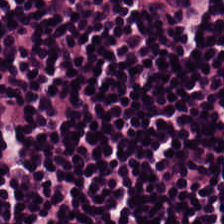H&E.
The tissue type is lymphocytic infiltrate.
